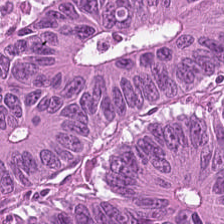Formalin-fixed paraffin-embedded section; H&E stain; WSI patch.
Impression — colorectal adenocarcinoma.
